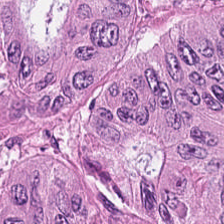Stain: H&E stain.
Predominant tissue: adenocarcinoma.
